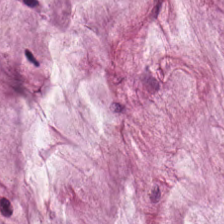0.5 µm/px · hematoxylin-and-eosin stained section — Impression — mucin.
